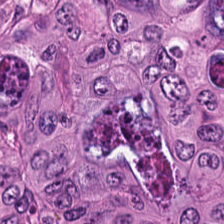20× equivalent magnification; hematoxylin-and-eosin stained section; WSI patch — This patch shows colorectal adenocarcinoma.
